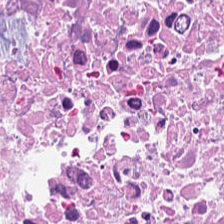Formalin-fixed paraffin-embedded section · H&E. Q: What does this patch show?
A: This is necrotic debris.
